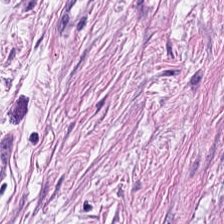Tissue = muscularis.
